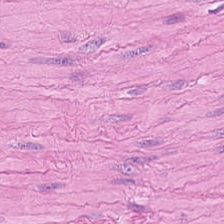Hematoxylin-and-eosin stained section — Classification: muscularis.
